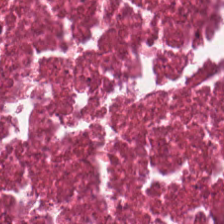H&E-stained tissue section.
The classification is cellular debris.
